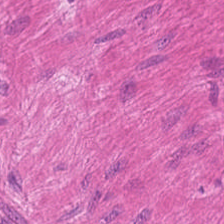H&E. Q: What tissue type is shown here?
A: It is muscularis.
